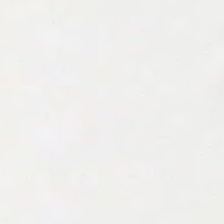Brightfield microscopy. Hematoxylin and eosin. 224×224 px tile.
The content is no tissue.
